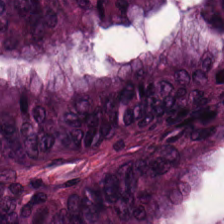Hematoxylin and eosin · 224×224 pixel tile · 20× equivalent magnification.
This patch shows tumor epithelium.
